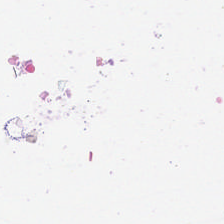0.5 microns per pixel · formalin-fixed paraffin-embedded section · H&E. Q: Classify this patch.
A: The field shows empty background.
